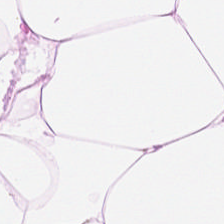Brightfield microscopy. H&E. Tissue class: adipocytes.
